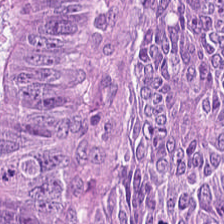Hematoxylin and eosin. FFPE tissue section. 0.5 microns per pixel.
Tissue type: tumor epithelium.
